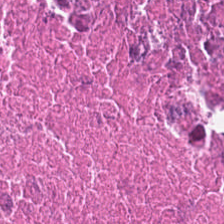Hematoxylin and eosin.
Impression → debris.
